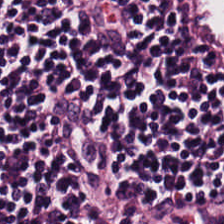H&E stain. Q: What tissue is shown?
A: Lymphocytic infiltrate.
